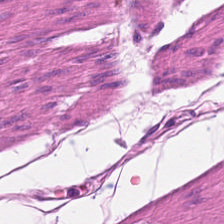This patch shows muscularis.
